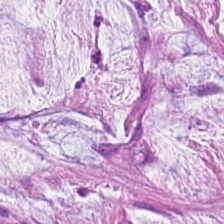{"tissue_type": "extracellular mucin"}
